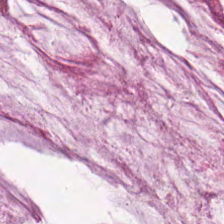224×224 px tile; H&E stain; FFPE tissue section.
The tissue is mucin.
